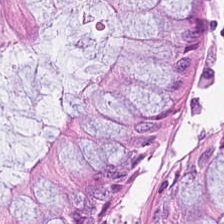Hematoxylin-and-eosin stained section — Q: What tissue type is shown here?
A: This is non-neoplastic colon mucosa.
